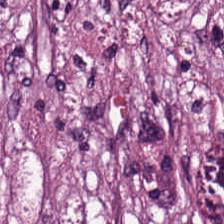Q: What tissue type is shown here?
A: The field shows cancer-associated stroma.
